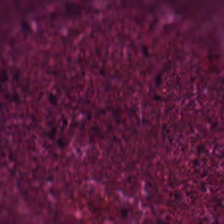H&E — Classification = cellular debris.
